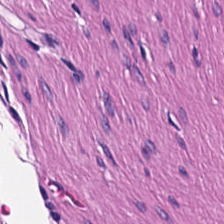Showing muscularis.
